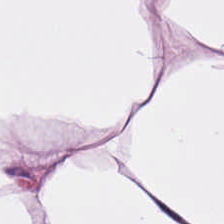Whole-slide-image patch. Hematoxylin-and-eosin stained section — Q: What tissue type is shown here?
A: It is adipose.
